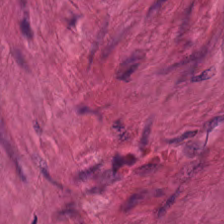H&E stain · whole-slide-image patch · FFPE tissue section. The predominant tissue is muscularis.
